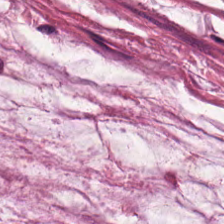H&E.
Q: What does this patch show?
A: This is extracellular mucin.
